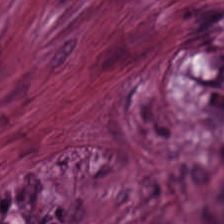H&E-stained tissue section.
The predominant tissue is desmoplastic stroma.
